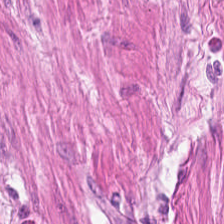0.5 microns per pixel; FFPE; H&E-stained tissue section.
Showing muscularis.
